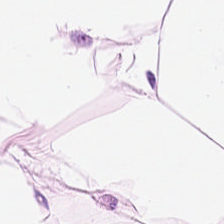H&E-stained tissue section — Tissue type: adipocytes.
